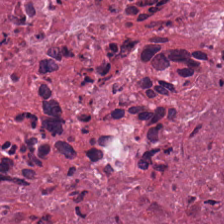H&E stain; 20× equivalent magnification.
Q: What tissue is shown?
A: The field shows cellular debris.
